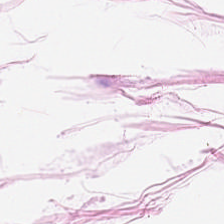Hematoxylin-and-eosin stained section. Impression → adipose.
